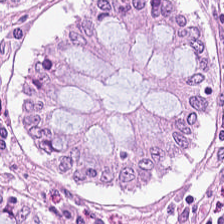FFPE tissue section; 224×224 px patch; H&E stain.
Histology — normal colonic mucosa.
